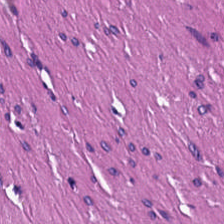FFPE tissue section · H&E-stained tissue section.
Tissue class: smooth muscle.
